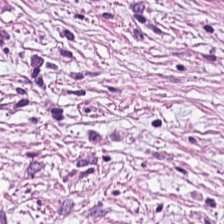Stain: H&E stain.
Tile size: 224×224 px tile.
Tissue class: tumor stroma.
